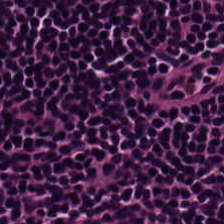H&E stain. Tissue = lymphoid infiltrate.
